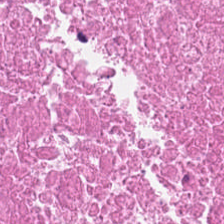H&E stain — Q: Identify the tissue.
A: It is debris.
